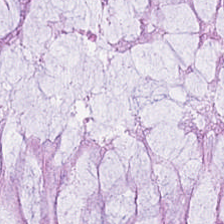H&E stain · brightfield microscopy.
Non-neoplastic colon mucosa.
